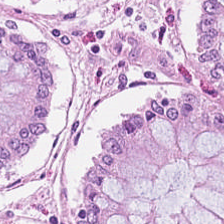This patch shows benign colonic mucosa.
